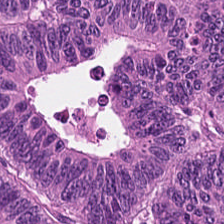Hematoxylin and eosin.
{"tissue_type": "malignant epithelium"}
